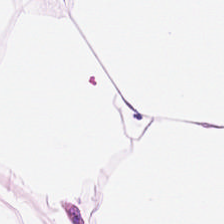Hematoxylin-and-eosin section: adipose tissue.
